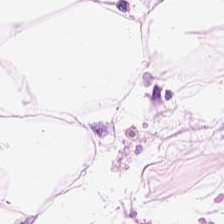Hematoxylin-and-eosin stained section; 0.5 microns per pixel; FFPE.
Q: What is shown here?
A: The field shows adipocytes.
